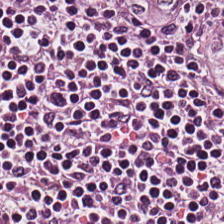H&E.
Q: What tissue is shown?
A: It is lymphocyte aggregate.
